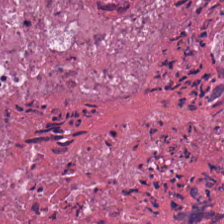H&E-stained tissue section.
The tissue here is debris.
